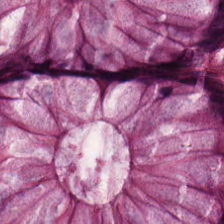Q: Identify the tissue.
A: It is benign colonic mucosa.
